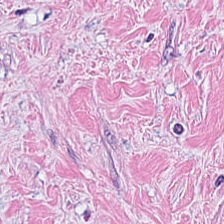Brightfield; H&E; formalin-fixed paraffin-embedded section.
Classification: tumor-associated stroma.
